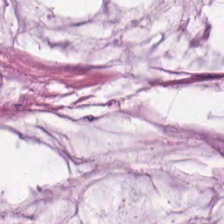Hematoxylin and eosin. Finding — mucin.
